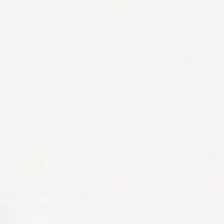Stain: hematoxylin-and-eosin stained section.
Tile size: 224×224 px tile.
Content: no tissue.
